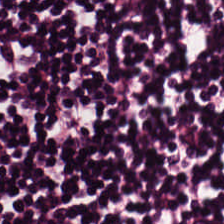H&E patch showing lymphoid infiltrate.
